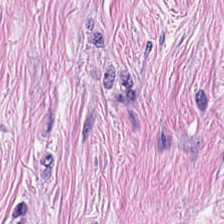Q: What does this patch show?
A: The field shows desmoplastic stroma.
